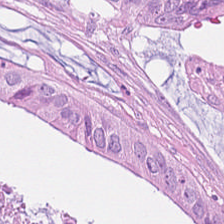H&E stain. Showing colorectal adenocarcinoma.
